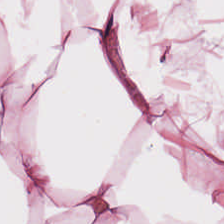H&E · 224×224 px patch — Predominantly adipose.
